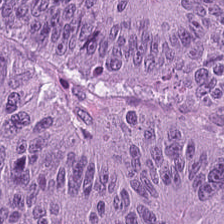H&E-stained tissue section.
The tissue is tumor epithelium.
